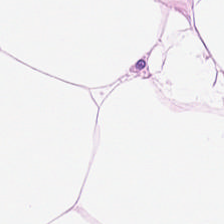Hematoxylin-and-eosin stained section — Predominant tissue: fat tissue.
